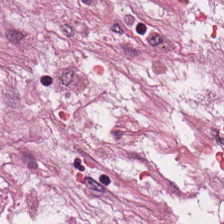20× equivalent magnification · 224×224 px patch · H&E-stained tissue section.
{"tissue_type": "tumor-associated stroma"}
